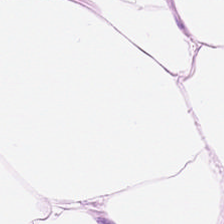Stain: H&E stain.
Resolution: 0.5 µm per pixel.
Tissue: adipose tissue.
